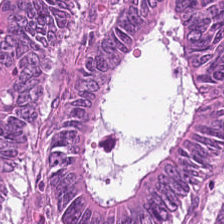This patch shows malignant epithelium.
